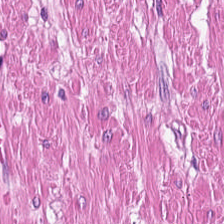H&E stain; brightfield.
The tissue is muscularis.
